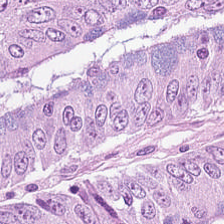Hematoxylin-and-eosin stained section — The tissue here is colorectal adenocarcinoma epithelium.
